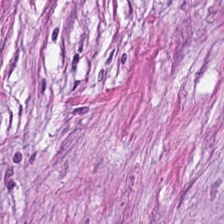H&E stain — Predominantly cancer-associated stroma.
